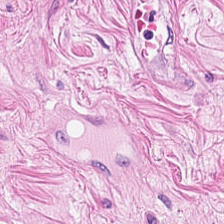Hematoxylin and eosin. This patch shows muscularis.
